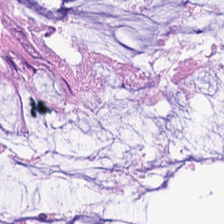20× equivalent magnification; H&E-stained tissue section. {"tissue_type": "non-neoplastic colon mucosa"}
